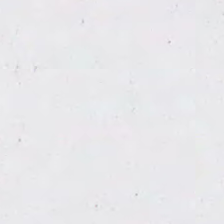H&E-stained tissue section.
No tissue present; background only.
